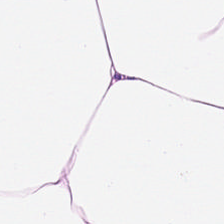Hematoxylin and eosin · 0.5 µm per pixel. The tissue here is adipocytes.
